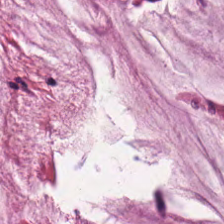H&E stain; WSI patch — Impression → mucin.
